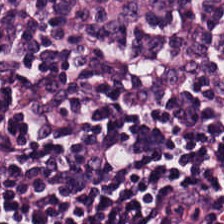H&E stain · 0.5 µm per pixel.
The tissue here is lymphocytes.
